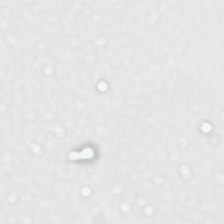Formalin-fixed paraffin-embedded section. Hematoxylin-and-eosin stained section.
Field content — empty background.
